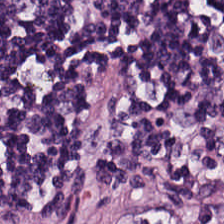Histology → lymphoid infiltrate.
